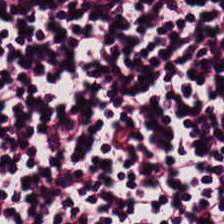H&E-stained tissue section. The tissue is lymphocyte aggregate.
